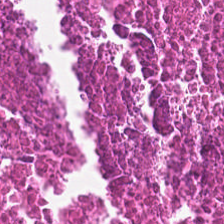Histology → necrotic debris.
